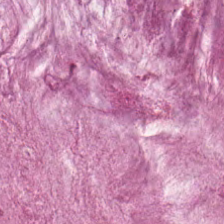H&E-stained tissue section. 224×224 pixel tile — Impression — mucin.
